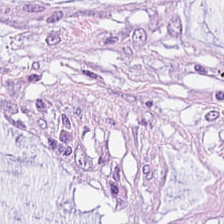H&E-stained tissue section.
The tissue is extracellular mucin.
